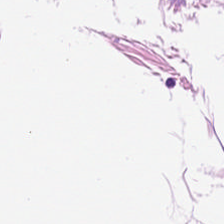H&E stain; whole-slide-image patch.
Tissue — adipocytes.
